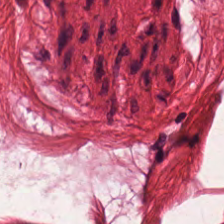Hematoxylin-and-eosin stained section — Predominantly smooth muscle.
